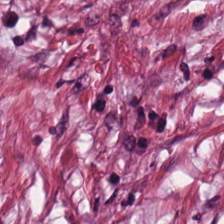Hematoxylin and eosin. FFPE. Whole-slide-image patch — The tissue here is tumor-associated stroma.
